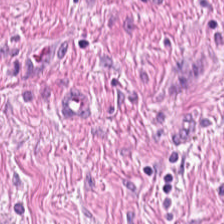H&E. Formalin-fixed paraffin-embedded section. 20× equivalent magnification.
Q: What tissue is shown?
A: Smooth-muscle tissue.
